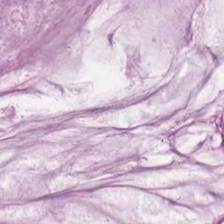Hematoxylin-and-eosin stained section.
Mucin.
